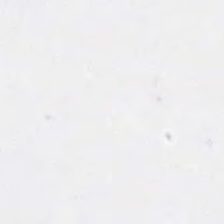{"content": "empty background"}
